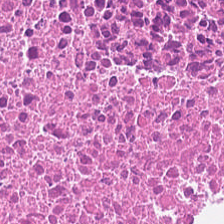Tissue: necrotic debris.
